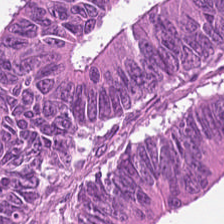Hematoxylin-and-eosin stained section. 0.5 µm per pixel. 224×224 pixel tile — Q: What does this patch show?
A: It is colorectal adenocarcinoma epithelium.
